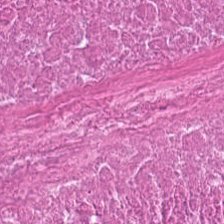Hematoxylin and eosin · 224×224 px patch — Debris.
